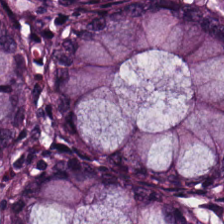Tissue type = non-neoplastic colon mucosa.
